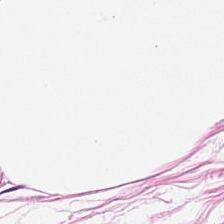Stain: H&E-stained tissue section.
Classification: fat tissue.
